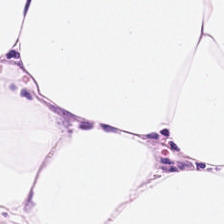Stain: H&E-stained tissue section.
Preparation: formalin-fixed paraffin-embedded section.
Resolution: 0.5 µm/px.
Tissue type: adipocytes.
